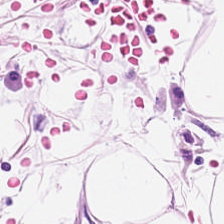H&E stain.
The classification is adipocytes.
